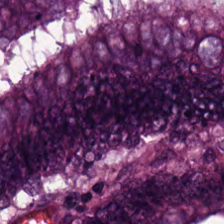FFPE · brightfield microscopy · hematoxylin and eosin.
{"tissue_type": "colorectal adenocarcinoma epithelium"}
